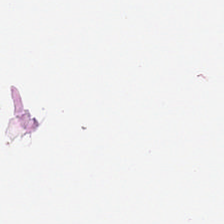H&E; 224×224 px tile — Q: What is shown in this field?
A: The field shows empty background.
